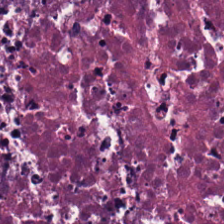Stain: hematoxylin and eosin.
Tissue: necrotic debris.
